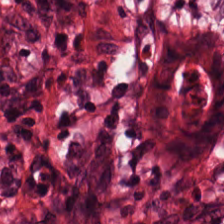Stain: H&E-stained tissue section.
Predominant tissue: cancer-associated stroma.
